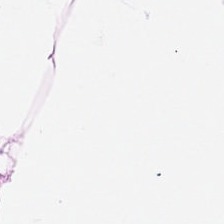Whole-slide-image patch. 224×224 px patch. Hematoxylin and eosin — The tissue class is adipose tissue.
